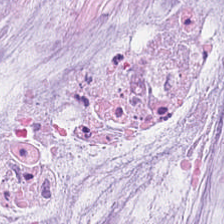H&E — The tissue class is mucin.
